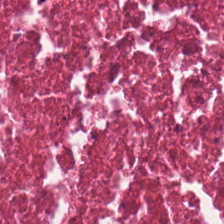Q: Classify this patch.
A: This is debris.
